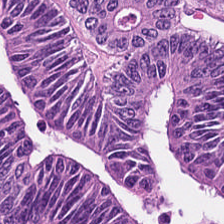Hematoxylin and eosin — Q: What tissue type is shown here?
A: This is malignant epithelium.
